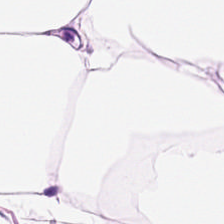224×224 pixel tile · H&E-stained tissue section.
The predominant tissue is adipocytes.
